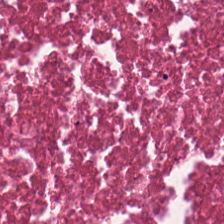Hematoxylin-and-eosin stained section.
Q: What tissue type is shown here?
A: This is necrotic debris.
